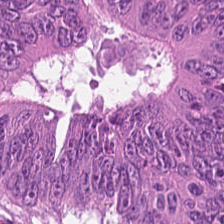H&E-stained tissue section. FFPE tissue section. Brightfield — This patch shows adenocarcinoma.
